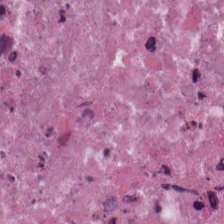H&E — This patch shows debris.
